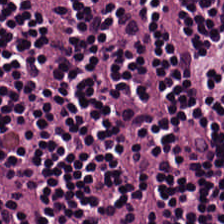Tissue type — lymphoid infiltrate.
